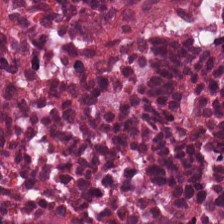H&E stain · 224×224 pixel tile — The tissue here is cellular debris.
